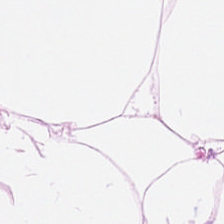H&E; WSI patch; FFPE tissue section. Classification — adipose.
